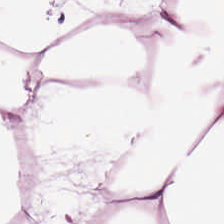Q: What type of tissue is this?
A: It is adipocytes.
